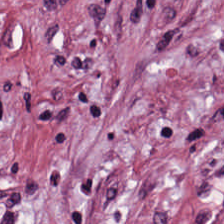0.5 µm per pixel · H&E stain. This patch shows desmoplastic stroma.
